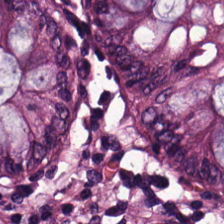H&E-stained tissue section; brightfield.
Q: Classify this patch.
A: The field shows benign colonic mucosa.
